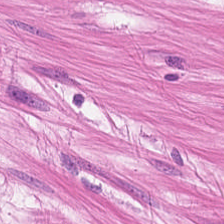Hematoxylin-and-eosin stained section — Tissue type: muscularis.
